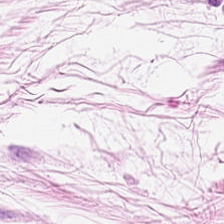FFPE. Hematoxylin and eosin — Impression → adipose.
